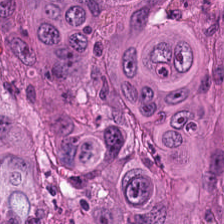Hematoxylin and eosin. The classification is colorectal adenocarcinoma epithelium.
